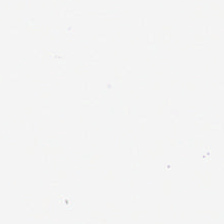H&E-stained tissue section — Background — no tissue in this field.
